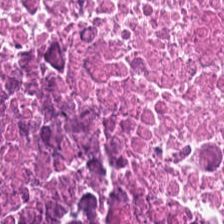Hematoxylin-and-eosin section: necrotic debris.
